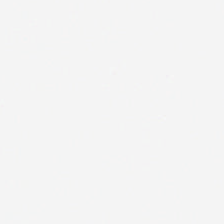224×224 px tile · H&E-stained tissue section — Histology → background.
